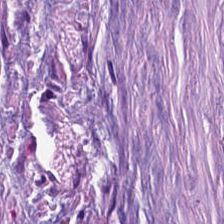Hematoxylin-and-eosin section: tumor-associated stroma.
